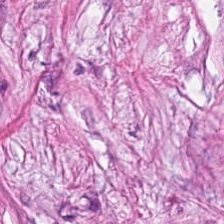FFPE · 20× equivalent magnification · H&E — Q: What tissue type is shown here?
A: Tumor-associated stroma.
